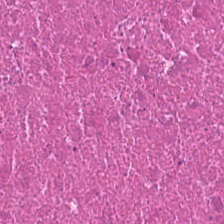H&E stain; 224×224 px patch; formalin-fixed paraffin-embedded section — Tissue: cellular debris.
